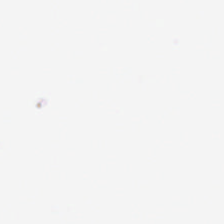H&E-stained tissue section. Q: What is shown in this field?
A: The field shows background.
